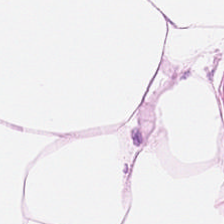Hematoxylin-and-eosin stained section — The predominant tissue is adipose.
